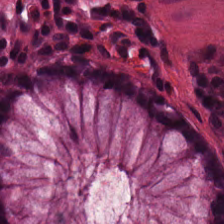Stain: hematoxylin-and-eosin stained section.
Resolution: 0.5 µm/px.
Tissue: normal colonic mucosa.
